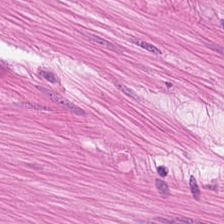Hematoxylin-and-eosin section: smooth muscle.
